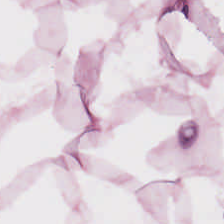H&E-stained tissue section. 224×224 pixel tile.
Predominantly adipose tissue.
